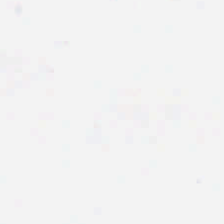H&E-stained tissue section — Field content = no tissue.
